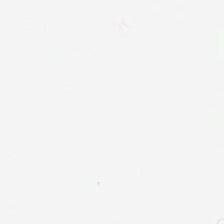Brightfield. 20× equivalent magnification. H&E-stained tissue section — Classification = empty background.
